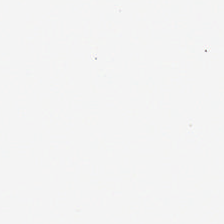224×224 pixel tile. Hematoxylin-and-eosin stained section. Content: background (no tissue).
